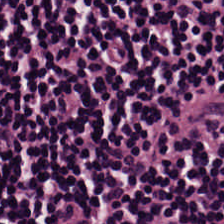H&E stain. Classification: lymphocyte aggregate.
